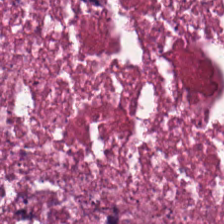Predominantly cellular debris.
